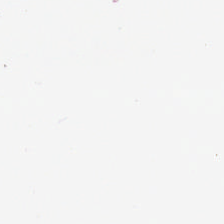H&E stain. Content: empty background.
